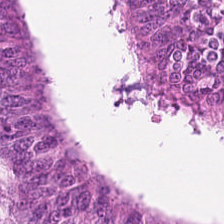224×224 px tile · H&E-stained tissue section.
Colorectal adenocarcinoma epithelium.
